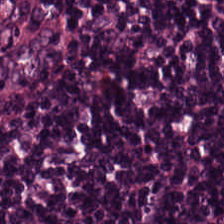224×224 px patch · H&E stain · formalin-fixed paraffin-embedded section — Showing lymphocytic infiltrate.
